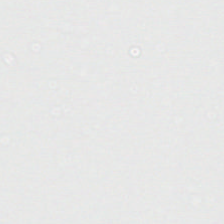Empty field — background.
